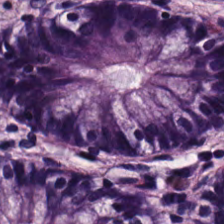Tissue = non-neoplastic colon mucosa.
